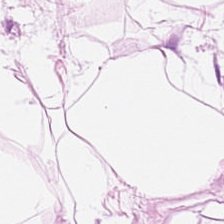224×224 px patch · hematoxylin and eosin.
Impression — adipose tissue.
